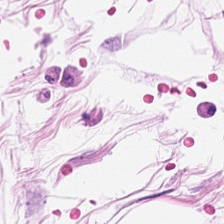Q: What is shown here?
A: The field shows fat tissue.
